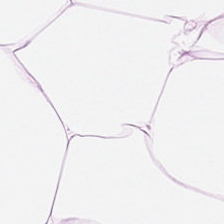H&E stain · 224×224 pixel tile · FFPE tissue section.
Tissue class: adipose.
